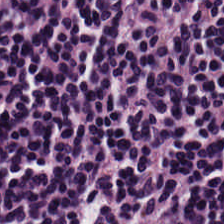H&E stain. Tissue type: lymphocytes.
